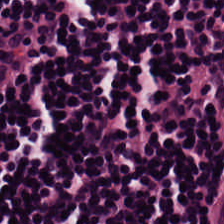H&E-stained tissue section. Brightfield — Tissue type: lymphoid infiltrate.
